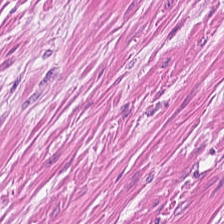Hematoxylin and eosin; WSI patch.
Tissue = smooth muscle.
